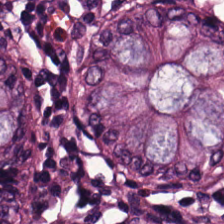H&E stain; 224×224 px patch. The tissue is normal colonic mucosa.
